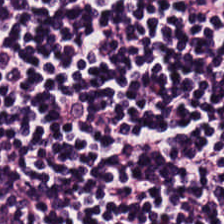Stain: H&E-stained tissue section.
Preparation: FFPE.
Resolution: 0.5 µm per pixel.
Tissue: lymphocytic infiltrate.
